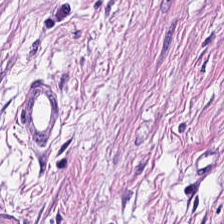H&E; 224×224 pixel tile.
Tissue — smooth muscle.
